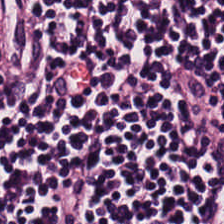Finding → lymphocyte aggregate.
